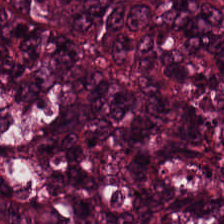Stain: H&E-stained tissue section.
Preparation: formalin-fixed paraffin-embedded section.
Classification: colorectal adenocarcinoma.
